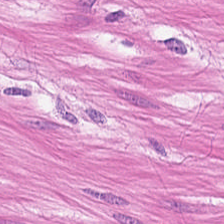Formalin-fixed paraffin-embedded section · hematoxylin-and-eosin stained section. Showing smooth-muscle tissue.
